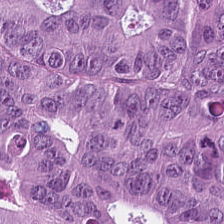Tissue — tumor epithelium.
